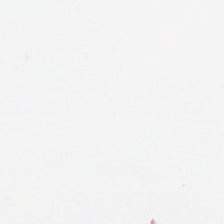Hematoxylin and eosin. This patch shows no tissue.
